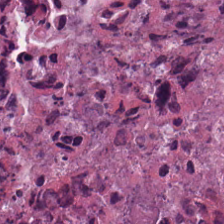H&E.
Q: What type of tissue is this?
A: This is necrotic debris.
